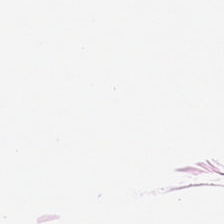Stain: hematoxylin and eosin.
Predominant tissue: adipose tissue.
